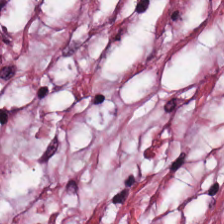224×224 px tile; H&E.
This field is cancer-associated stroma.
